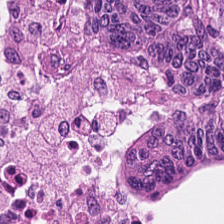{"tissue_type": "colorectal adenocarcinoma epithelium"}
